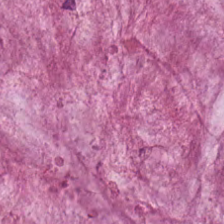Stain: hematoxylin-and-eosin stained section.
Tissue: extracellular mucin.
